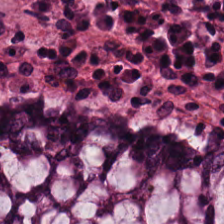Predominant tissue: non-neoplastic colon mucosa.
